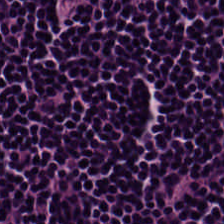H&E patch showing lymphocyte aggregate.
